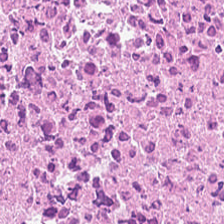H&E-stained tissue section; 0.5 µm per pixel — Predominant tissue: cellular debris.
